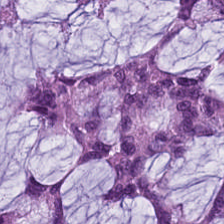H&E stain; 224×224 px tile; 0.5 microns per pixel. Mucin.
